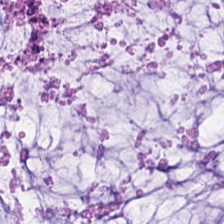FFPE tissue section. Hematoxylin and eosin. Finding → mucin.
